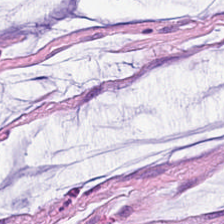H&E stain — Q: What tissue is shown?
A: It is mucus.
